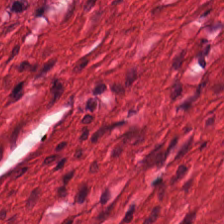H&E — {"tissue_type": "smooth-muscle tissue"}
